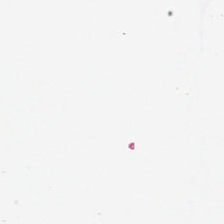WSI patch · hematoxylin and eosin.
Empty background.
